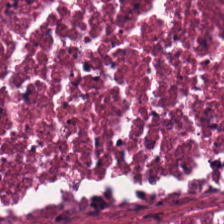Predominant tissue — debris.
